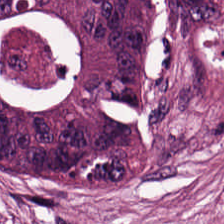H&E — Adenocarcinoma.
